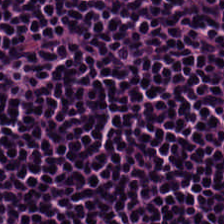H&E stain; 224×224 pixel tile.
Q: What is shown here?
A: The field shows lymphocytic infiltrate.
